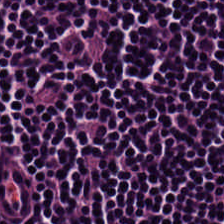Classification = lymphocytic infiltrate.
